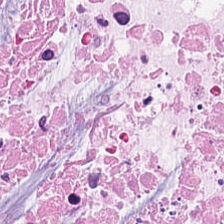Stain: H&E stain.
Tissue class: cellular debris.
